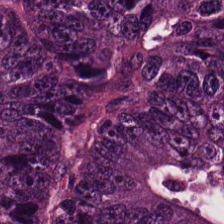Stain: H&E-stained tissue section.
Preparation: FFPE.
Tile size: 224×224 pixel tile.
Tissue: adenocarcinoma.
